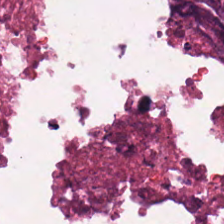Hematoxylin-and-eosin stained section · 0.5 µm/px — This patch shows necrotic debris.
